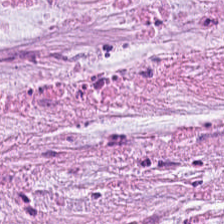0.5 µm/px. H&E. Predominantly mucus.
